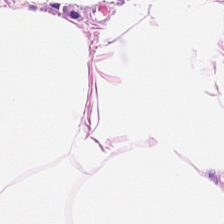224×224 px patch. FFPE tissue section. Hematoxylin-and-eosin stained section. The predominant tissue is adipose.
